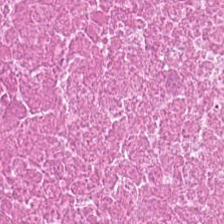Hematoxylin and eosin. Showing cellular debris.
